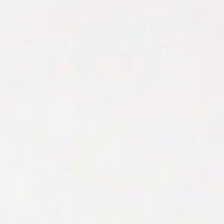224×224 px patch. H&E. Background — no tissue in this field.
